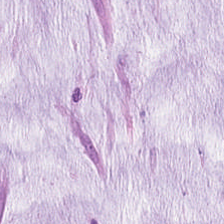H&E. Showing mucin.
